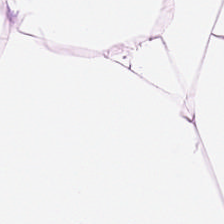Brightfield. Formalin-fixed paraffin-embedded section. Hematoxylin and eosin.
Tissue class: adipose tissue.
